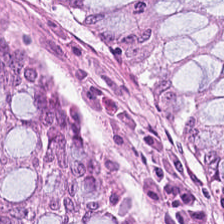H&E stain — This patch shows normal colon mucosa.
